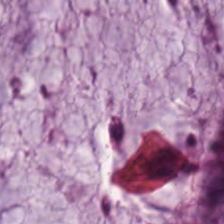H&E-stained section; the field shows mucin.
